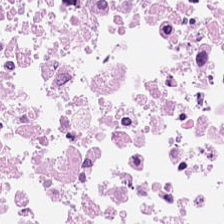H&E · 224×224 px tile.
This patch shows necrotic debris.
